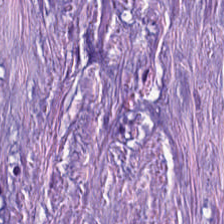Q: What type of tissue is this?
A: This is tumor-associated stroma.
